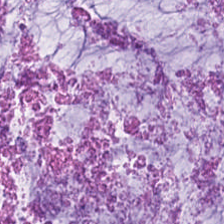H&E stain — Finding → extracellular mucin.
